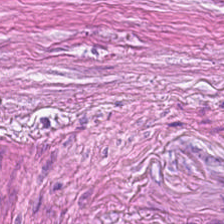H&E · 224×224 px tile. Classification — cancer-associated stroma.
